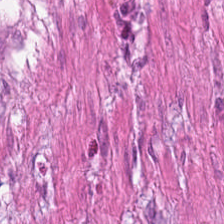20× equivalent magnification; H&E — Q: What is the predominant tissue type?
A: This is muscularis.
